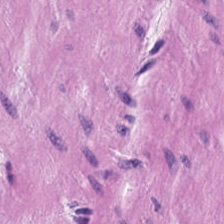H&E-stained section; the field shows muscularis.
